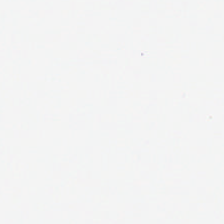Stain: hematoxylin and eosin.
Content: background.
